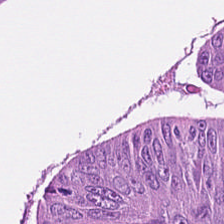H&E — This patch shows tumor epithelium.
